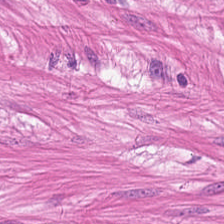Hematoxylin-and-eosin stained section. Predominant tissue: smooth muscle.
